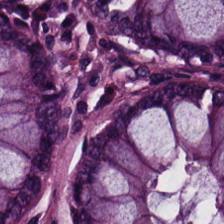Q: Identify the tissue.
A: The field shows non-neoplastic colon mucosa.
